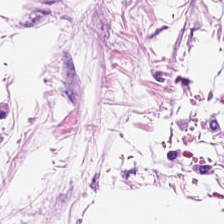{"tissue_type": "adipocytes"}
